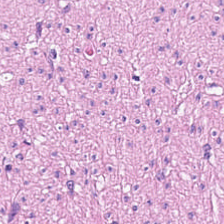Hematoxylin-and-eosin stained section; 20× equivalent magnification.
Tissue class: smooth-muscle tissue.
